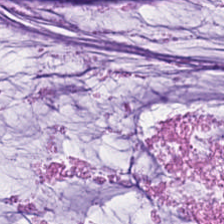Hematoxylin-and-eosin stained section.
Tissue type: extracellular mucin.
